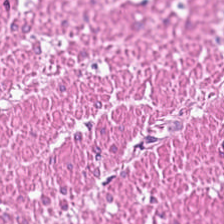Hematoxylin and eosin · whole-slide-image patch. Predominant tissue: smooth-muscle tissue.
